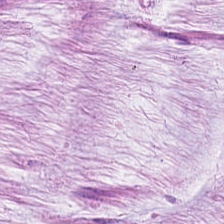Tissue = mucus.
